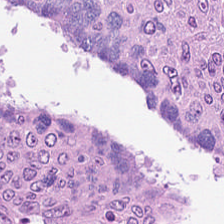0.5 µm per pixel; H&E-stained tissue section.
Q: Classify this patch.
A: The field shows colorectal adenocarcinoma epithelium.
